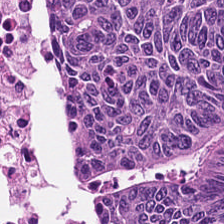H&E-stained tissue section · 224×224 px tile · 20× equivalent magnification.
Q: What is shown in this field?
A: Tumor epithelium.
